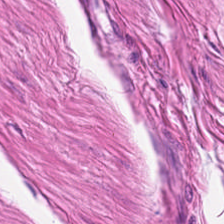{"tissue_type": "muscularis"}
